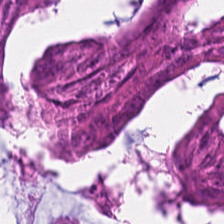H&E-stained tissue section.
Predominantly adenocarcinoma.
